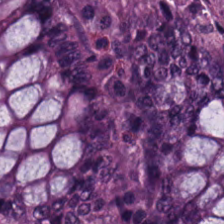Hematoxylin and eosin.
Predominant tissue = benign colonic mucosa.
